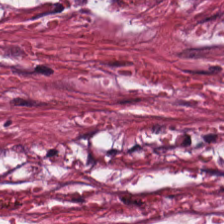Hematoxylin-and-eosin section: tumor-associated stroma.
